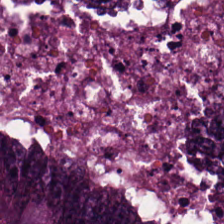H&E — Tissue type — colorectal adenocarcinoma.
